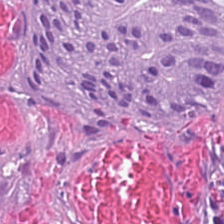Hematoxylin and eosin — Classification: tumor epithelium.
